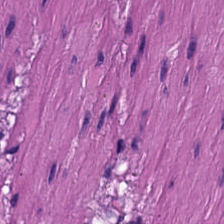H&E stain.
This field is muscularis.
